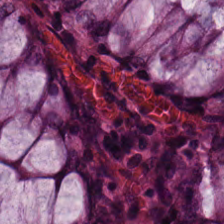Stain: H&E stain.
Tile size: 224×224 pixel tile.
Tissue class: normal colonic mucosa.
